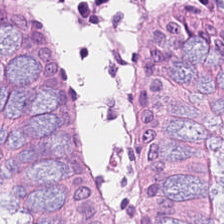H&E. Formalin-fixed paraffin-embedded section. Whole-slide-image patch.
The tissue here is normal colonic mucosa.
